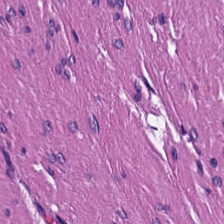Q: What is the predominant tissue type?
A: It is muscularis.
